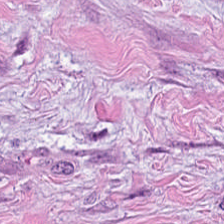H&E.
Predominant tissue: tumor-associated stroma.
